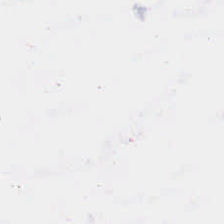Q: What does this patch show?
A: This is no tissue.
